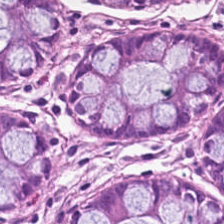H&E stain · FFPE · WSI patch.
Q: Classify this patch.
A: This is non-neoplastic colon mucosa.
